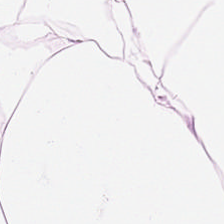Brightfield microscopy; H&E.
Tissue: fat tissue.
